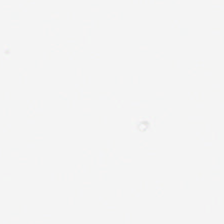224×224 px tile. H&E stain.
This field is background (no tissue).
